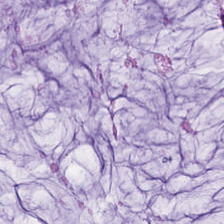Whole-slide-image patch; H&E-stained tissue section; formalin-fixed paraffin-embedded section — Classification = extracellular mucin.
